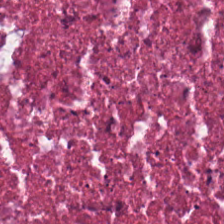H&E — Tissue class: necrotic debris.
